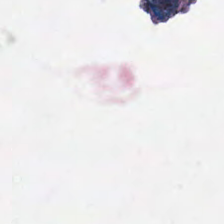Stain: H&E stain.
Classification: background (no tissue).
